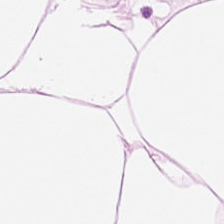Hematoxylin-and-eosin stained section; 224×224 px tile. The predominant tissue is adipose.
